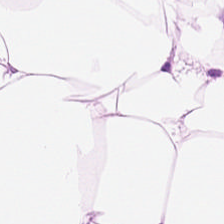H&E stain — Q: What is the predominant tissue type?
A: The field shows adipose tissue.
